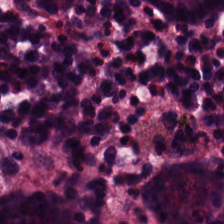Hematoxylin-and-eosin section: non-neoplastic colon mucosa.
